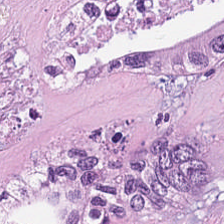Hematoxylin-and-eosin stained section — The predominant tissue is cellular debris.
